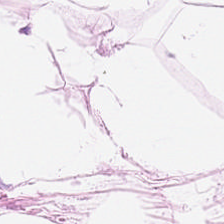Hematoxylin and eosin — The tissue is fat tissue.
